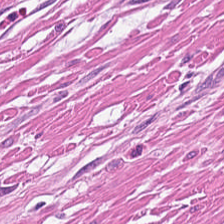H&E-stained tissue section; 224×224 px patch — Q: Classify this patch.
A: It is muscularis.
